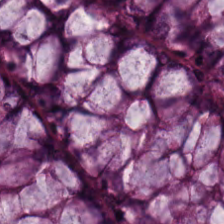Formalin-fixed paraffin-embedded section. H&E stain. 224×224 px tile — The tissue class is benign colonic mucosa.
